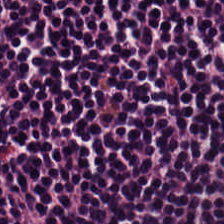H&E stain.
This patch shows lymphocyte aggregate.
